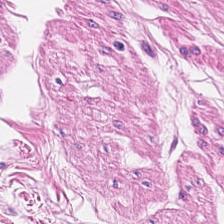Hematoxylin and eosin; FFPE; 224×224 px tile — The classification is muscularis.
